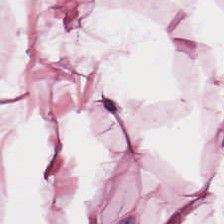The tissue type is adipocytes.
